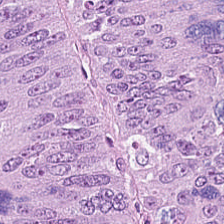Brightfield microscopy. Hematoxylin-and-eosin stained section. The tissue here is tumor epithelium.
